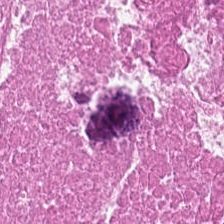224×224 pixel tile · formalin-fixed paraffin-embedded section · hematoxylin-and-eosin stained section. Showing necrotic debris.
